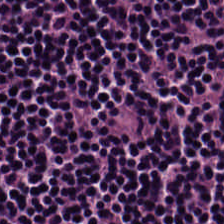H&E stain. This field is lymphoid infiltrate.
